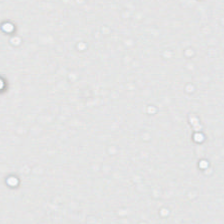Stain: H&E stain.
Content: no tissue.
